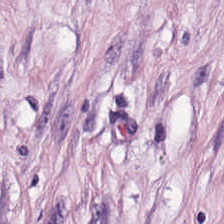Predominantly desmoplastic stroma.
